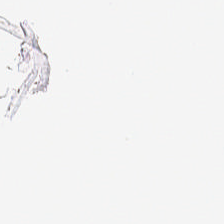Classification — background (no tissue).
